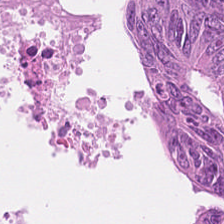Stain: hematoxylin-and-eosin stained section.
Classification: adenocarcinoma.
